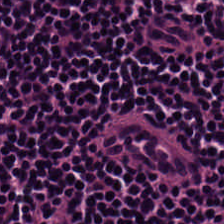H&E-stained tissue section — This patch shows lymphocytic infiltrate.
